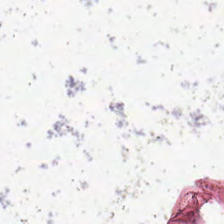Hematoxylin-and-eosin stained section; WSI patch. Content: background (no tissue).
